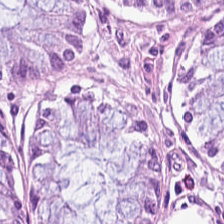H&E-stained tissue section showing non-neoplastic colon mucosa.
